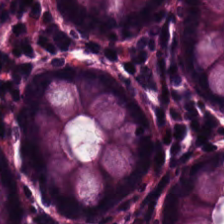H&E stain. Q: What is shown in this field?
A: Non-neoplastic colon mucosa.
